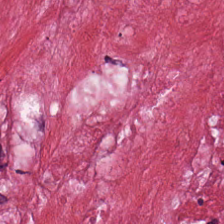Stain: H&E stain.
Resolution: 0.5 µm/px.
Preparation: formalin-fixed paraffin-embedded section.
Classification: cancer-associated stroma.
